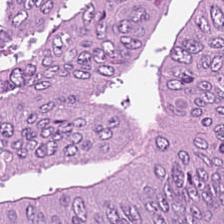Hematoxylin-and-eosin stained section. Impression → malignant epithelium.
